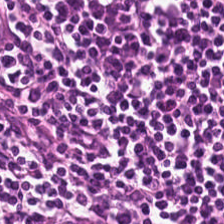Formalin-fixed paraffin-embedded section · 224×224 px tile · H&E stain.
Q: Identify the tissue.
A: Lymphocyte aggregate.
